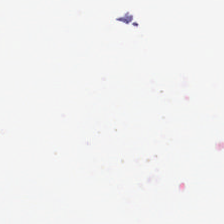Classification: empty background.
